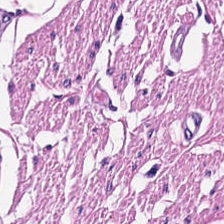Hematoxylin and eosin — This field is muscularis.
